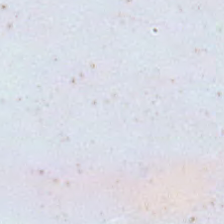0.5 microns per pixel · hematoxylin-and-eosin stained section.
Finding → no tissue.
